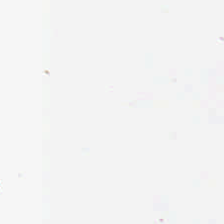Hematoxylin-and-eosin stained section. Field content: background.
